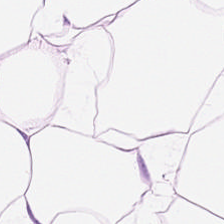Hematoxylin and eosin — Showing adipocytes.
